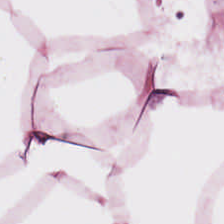224×224 px tile. H&E stain — This field is adipocytes.
